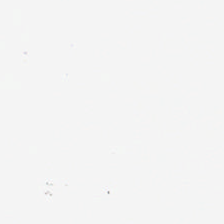H&E.
Content — no tissue.
